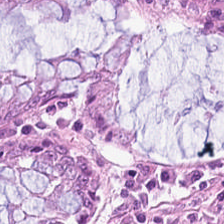Showing non-neoplastic colon mucosa.
